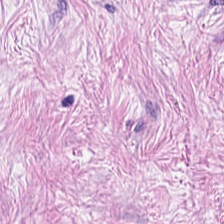H&E-stained tissue section.
The tissue is desmoplastic stroma.
